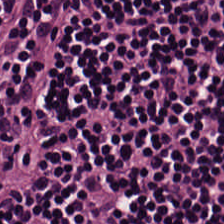Stain: H&E stain.
Tissue type: lymphocytic infiltrate.
